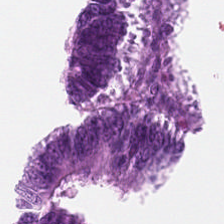H&E stain.
Impression — no tissue.
